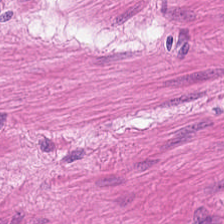H&E-stained section; the field shows smooth muscle.
